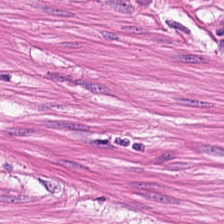20× equivalent magnification; hematoxylin and eosin — Finding → muscularis.
